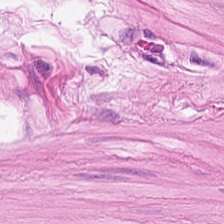Stain: H&E.
Resolution: 0.5 µm per pixel.
Tissue class: smooth-muscle tissue.
